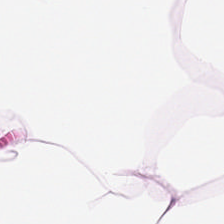Hematoxylin-and-eosin stained section. This patch shows adipose tissue.
